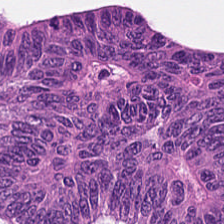H&E. Q: What is shown here?
A: Adenocarcinoma.
